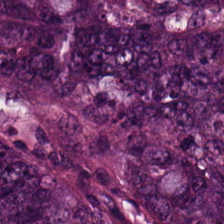{"tissue_type": "colorectal adenocarcinoma epithelium"}
